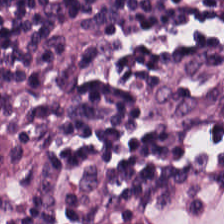224×224 px tile. Hematoxylin and eosin. Lymphocyte aggregate.
